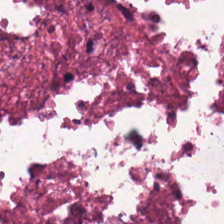H&E stain; 224×224 pixel tile.
Q: What is the predominant tissue type?
A: This is necrotic debris.
